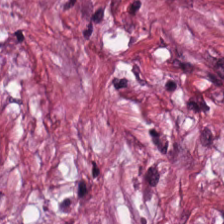Hematoxylin and eosin — Q: Identify the tissue.
A: This is tumor-associated stroma.
